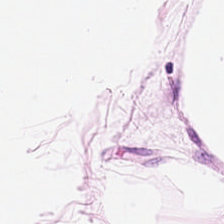H&E. Finding — adipose.
